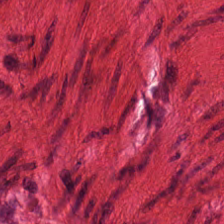Stain: H&E-stained tissue section.
Tissue class: smooth-muscle tissue.
